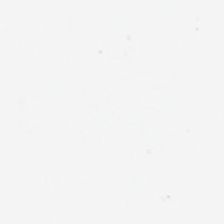H&E stain. Field content = background (no tissue).
